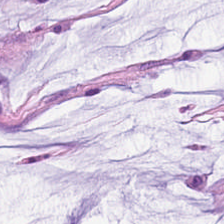Hematoxylin-and-eosin stained section — Impression — mucin.
